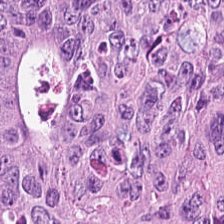FFPE tissue section; H&E stain — This patch shows colorectal adenocarcinoma epithelium.
